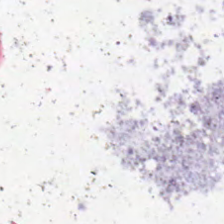Stain: H&E stain.
Classification: empty background.
